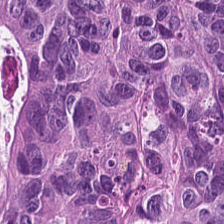Brightfield microscopy; hematoxylin and eosin. This field is tumor epithelium.
